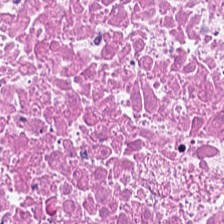H&E-stained section; the field shows debris.
